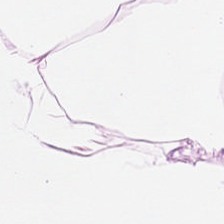H&E.
Q: What does this patch show?
A: Adipose.
